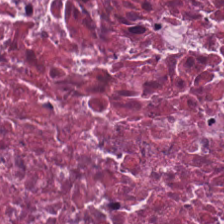Showing necrotic debris.
